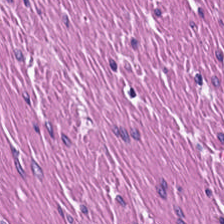H&E stain.
This field is smooth muscle.
